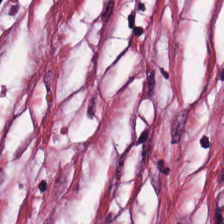H&E-stained tissue section.
Tissue class: tumor-associated stroma.
